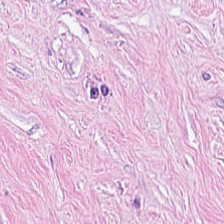0.5 µm/px. FFPE. H&E.
Q: What type of tissue is this?
A: This is cancer-associated stroma.
